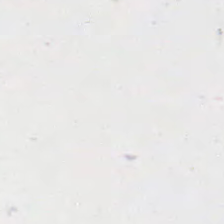H&E. This field is background (no tissue).
